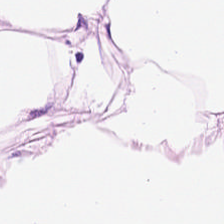Stain: H&E-stained tissue section.
Preparation: FFPE tissue section.
Tissue: fat tissue.
